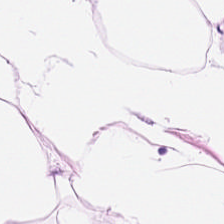Q: What tissue is shown?
A: It is fat tissue.
